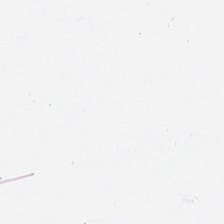224×224 px patch. H&E stain — Histology — fat tissue.
